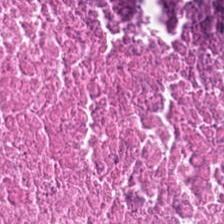This field is cellular debris.
